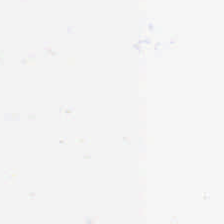Hematoxylin-and-eosin stained section.
This patch shows background.
